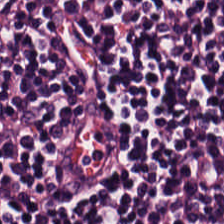Stain: H&E stain.
Tissue type: lymphocytic infiltrate.
